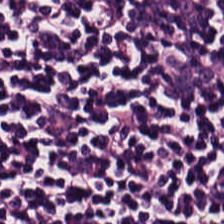Hematoxylin and eosin — The tissue here is lymphocyte aggregate.
